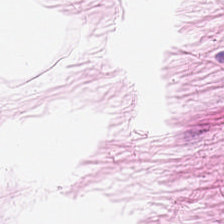H&E patch showing adipocytes.
